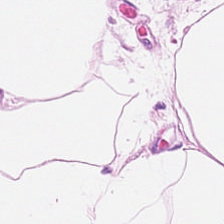Stain: H&E-stained tissue section.
Acquisition: brightfield microscopy.
Tissue: fat tissue.
